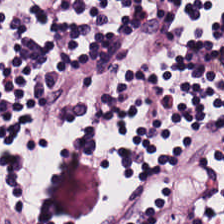H&E — Q: Identify the tissue.
A: It is lymphocytes.
